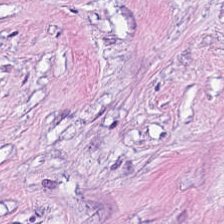H&E — The tissue class is desmoplastic stroma.
